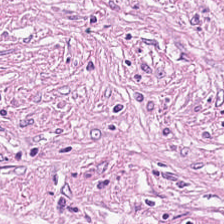224×224 px tile; H&E.
Predominantly desmoplastic stroma.
